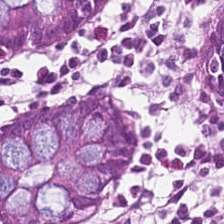This field is benign colonic mucosa.
